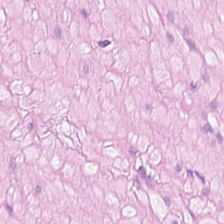Hematoxylin and eosin. Finding → smooth-muscle tissue.
